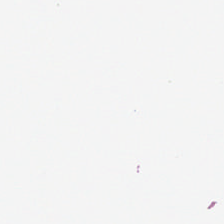Stain: H&E.
Tile size: 224×224 pixel tile.
Classification: empty background.
